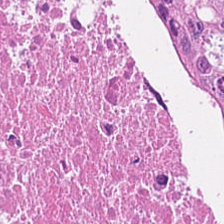Stain: hematoxylin and eosin.
Tissue class: debris.
